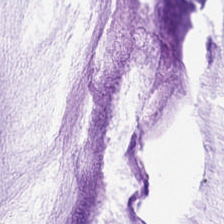Stain: H&E.
Resolution: 20× equivalent magnification.
Tissue class: extracellular mucin.
